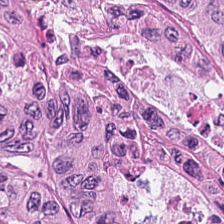Tissue: colorectal adenocarcinoma epithelium.
